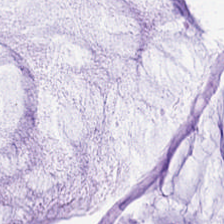Classification — extracellular mucin.
